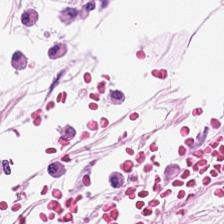H&E-stained tissue section. Predominant tissue — adipose.
